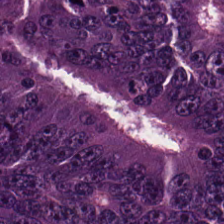H&E-stained tissue section. Showing tumor epithelium.
